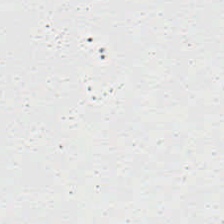Hematoxylin and eosin · 0.5 µm/px. Field content: background (no tissue).
